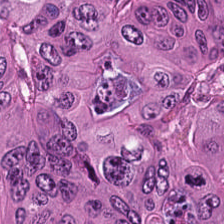Hematoxylin and eosin. This patch shows adenocarcinoma.
